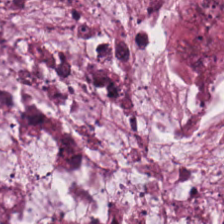Formalin-fixed paraffin-embedded section · H&E-stained tissue section · brightfield. This patch shows extracellular mucin.
